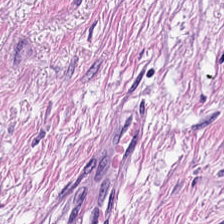Hematoxylin and eosin.
Q: Classify this patch.
A: Smooth-muscle tissue.
